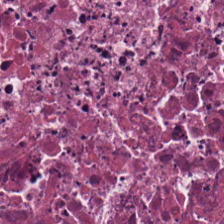H&E-stained tissue section.
The tissue type is debris.
